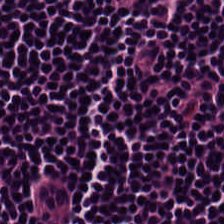Hematoxylin and eosin — This field is lymphocytic infiltrate.
